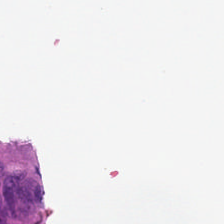Hematoxylin and eosin. No tissue present; background only.
